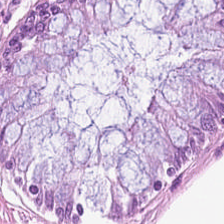The predominant tissue is normal colonic mucosa.
